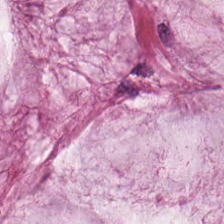H&E stain; FFPE tissue section; 0.5 µm/px.
Q: Classify this patch.
A: The field shows mucin.
